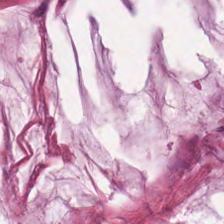Hematoxylin-and-eosin stained section. The tissue here is mucus.
